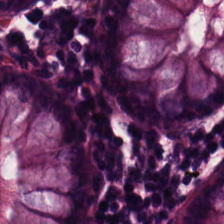Hematoxylin and eosin.
{"tissue_type": "non-neoplastic colon mucosa"}
